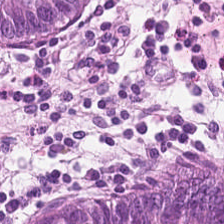Stain: H&E stain.
Classification: normal colonic mucosa.
